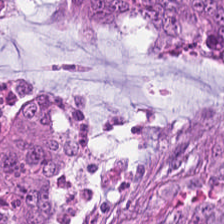Predominant tissue = colorectal adenocarcinoma.
